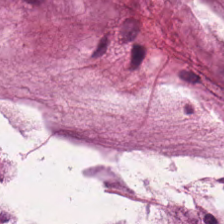Stain: H&E-stained tissue section.
Preparation: FFPE tissue section.
Tissue type: mucus.
